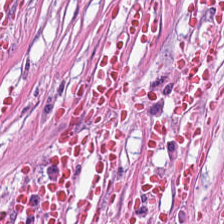H&E-stained tissue section · 224×224 px patch.
Q: What is shown in this field?
A: Desmoplastic stroma.
